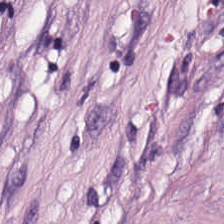224×224 px patch; hematoxylin and eosin; formalin-fixed paraffin-embedded section.
This patch shows tumor-associated stroma.
